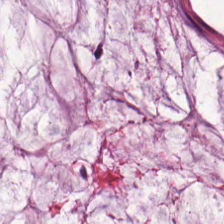FFPE tissue section. H&E.
{"tissue_type": "mucin"}
